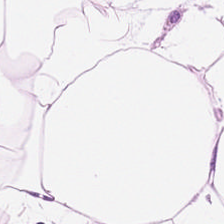Tissue class: adipose tissue.
